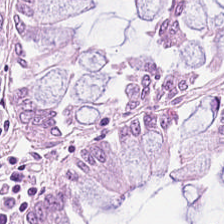20× equivalent magnification. H&E stain. The tissue here is non-neoplastic colon mucosa.
